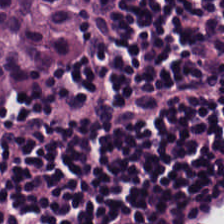Q: What type of tissue is this?
A: The field shows lymphoid infiltrate.
